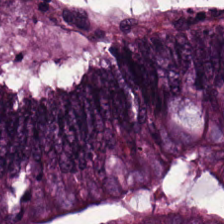FFPE; hematoxylin-and-eosin stained section; 0.5 microns per pixel.
The tissue is colorectal adenocarcinoma epithelium.
